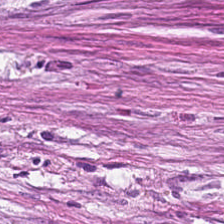Finding — tumor-associated stroma.
